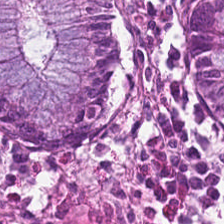Stain: H&E-stained tissue section.
Tissue type: benign colonic mucosa.
